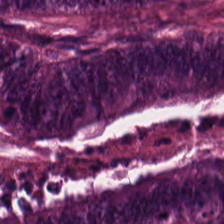H&E stain — Tissue = colorectal adenocarcinoma.
